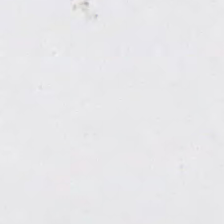H&E stain; 0.5 µm/px — Field content = background (no tissue).
